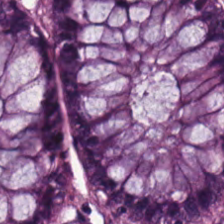Formalin-fixed paraffin-embedded section. H&E-stained tissue section. Predominant tissue: normal colon mucosa.
